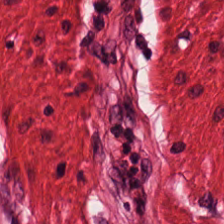H&E stain. The tissue here is smooth muscle.
